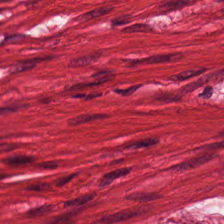H&E stain.
This patch shows smooth muscle.
